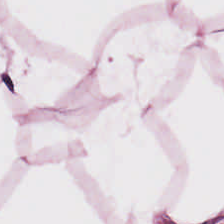Tissue type — adipocytes.
